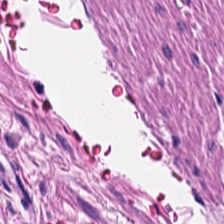Predominantly smooth-muscle tissue.
